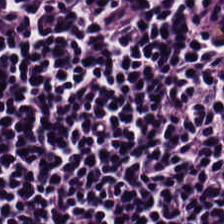Lymphocytes.
